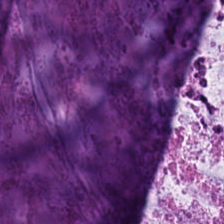Q: Classify this patch.
A: Extracellular mucin.
